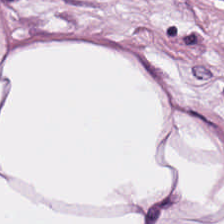Finding — adipose tissue.
